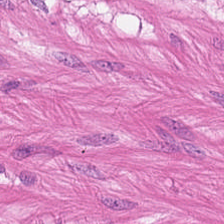H&E-stained tissue section — This field is smooth muscle.
